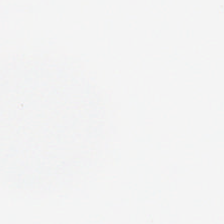Hematoxylin-and-eosin stained section; 0.5 µm per pixel. Q: Classify this patch.
A: This is background (no tissue).
